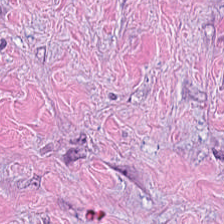The classification is desmoplastic stroma.
